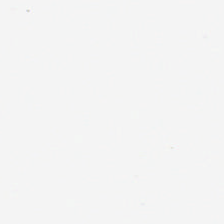FFPE · hematoxylin-and-eosin stained section — This patch shows empty background.
